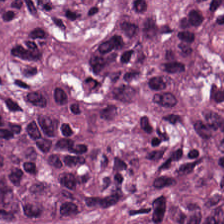H&E-stained tissue section. The tissue here is colorectal adenocarcinoma epithelium.
